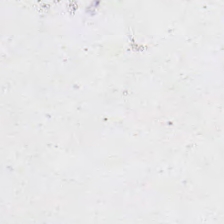Empty field — background (no tissue).
